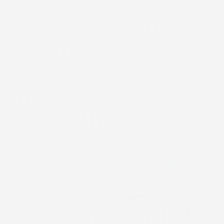H&E. 0.5 µm/px — Classification — background.
